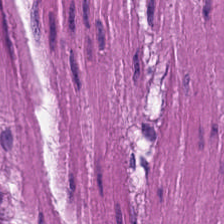20× equivalent magnification; H&E. The tissue here is smooth muscle.
